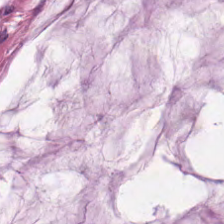Hematoxylin-and-eosin stained section · whole-slide-image patch — {"tissue_type": "extracellular mucin"}
